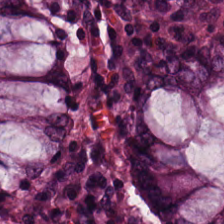Hematoxylin-and-eosin stained section — This field is benign colonic mucosa.
